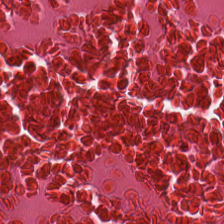224×224 px tile. 0.5 µm per pixel. H&E — Q: Classify this patch.
A: It is debris.
